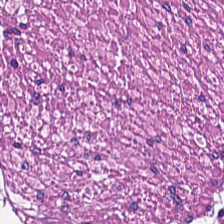H&E stain. 224×224 px patch.
The tissue class is smooth muscle.
